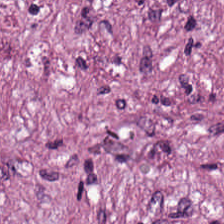Q: What type of tissue is this?
A: The field shows cancer-associated stroma.
